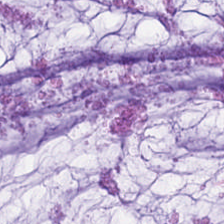Stain: H&E.
Acquisition: WSI patch.
Resolution: 20× equivalent magnification.
Classification: mucin.
